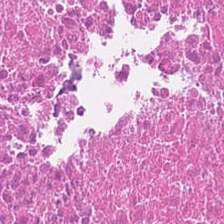Stain: hematoxylin and eosin.
Acquisition: brightfield microscopy.
Predominant tissue: necrotic debris.
